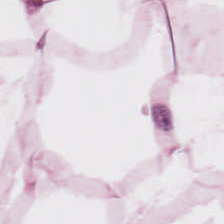0.5 µm/px. H&E-stained tissue section. Brightfield microscopy — Q: What type of tissue is this?
A: It is adipose.
